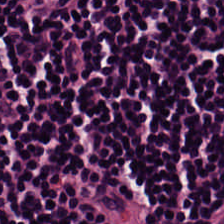Showing lymphocytic infiltrate.
